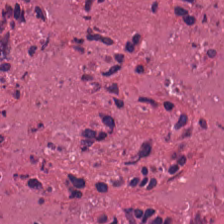H&E. Q: What is shown in this field?
A: The field shows debris.
